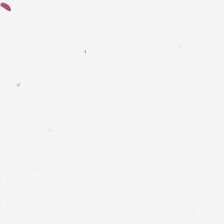Background — no tissue in this field.
